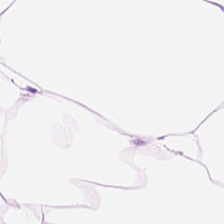H&E — Predominant tissue = adipose.
